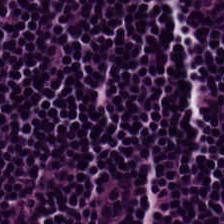Hematoxylin-and-eosin stained section. Q: What tissue is shown?
A: The field shows lymphocytes.
